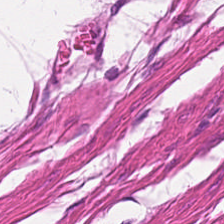{"tissue_type": "muscularis"}
